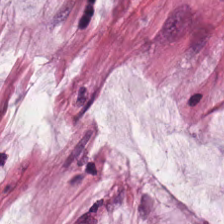Q: Identify the tissue.
A: It is mucin.
